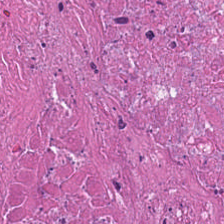WSI patch. H&E. 0.5 µm per pixel. {"tissue_type": "debris"}
